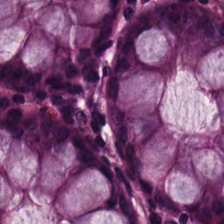H&E-stained tissue section. The tissue here is normal colon mucosa.
